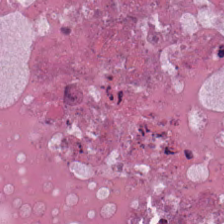H&E. Brightfield microscopy.
The tissue here is cellular debris.
